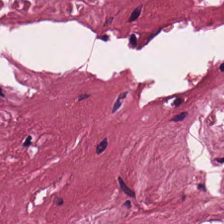Hematoxylin-and-eosin stained section; 224×224 px tile; FFPE tissue section.
Q: What is the predominant tissue type?
A: Tumor-associated stroma.
